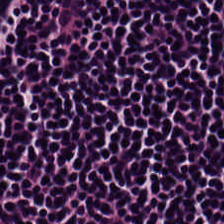Hematoxylin and eosin.
Predominantly lymphocyte aggregate.
